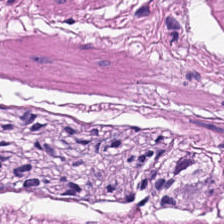Hematoxylin-and-eosin stained section; 20× equivalent magnification.
Q: What tissue is shown?
A: This is muscularis.
